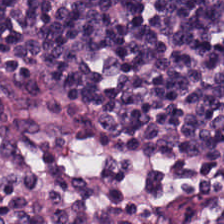Stain: hematoxylin and eosin.
Acquisition: brightfield microscopy.
Predominant tissue: lymphocytic infiltrate.
